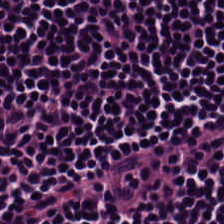Hematoxylin and eosin; WSI patch; 224×224 pixel tile. Tissue type — lymphocytic infiltrate.
